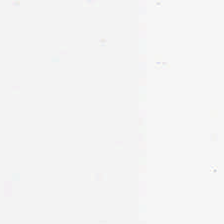Hematoxylin-and-eosin stained section. No tissue.
